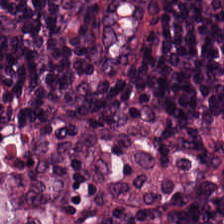This patch shows lymphocytic infiltrate.
